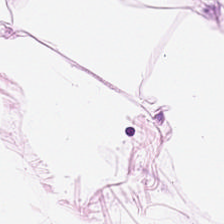Showing adipocytes.
